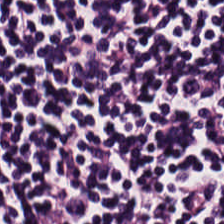FFPE tissue section · 224×224 px patch · H&E-stained tissue section.
Showing lymphocytic infiltrate.
